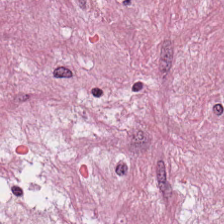Tumor-associated stroma.
